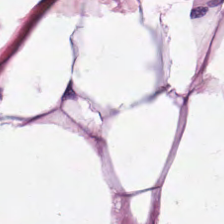H&E-stained tissue section.
Tissue — fat tissue.
